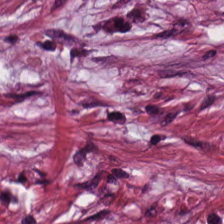Tissue class: tumor-associated stroma.
